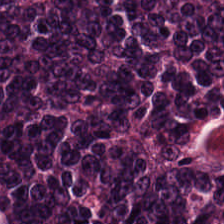Hematoxylin-and-eosin stained section.
Predominantly colorectal adenocarcinoma epithelium.
